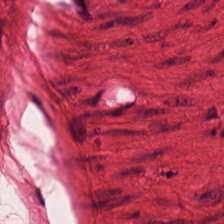H&E. WSI patch. 0.5 µm per pixel — This patch shows muscularis.
